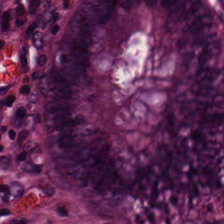H&E stain; 0.5 µm per pixel — The tissue here is benign colonic mucosa.
